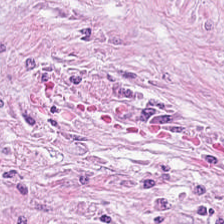Tissue type = tumor-associated stroma.
